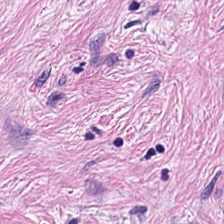Hematoxylin and eosin.
Tissue — cancer-associated stroma.
